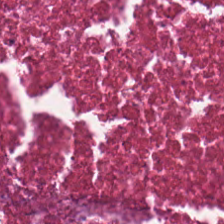H&E-stained tissue section showing debris.
